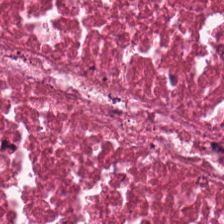Q: What is shown in this field?
A: The field shows cellular debris.
